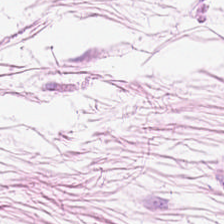H&E-stained tissue section — Tissue type — adipose tissue.
